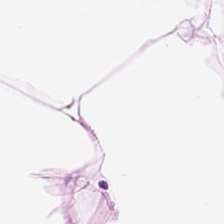H&E-stained tissue section.
Tissue type = adipocytes.
